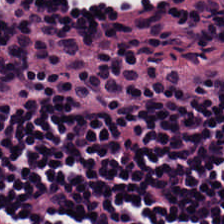H&E stain · 224×224 px tile.
{"tissue_type": "lymphoid infiltrate"}
